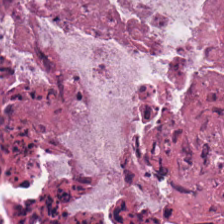H&E stain · 0.5 µm/px.
{"tissue_type": "debris"}
